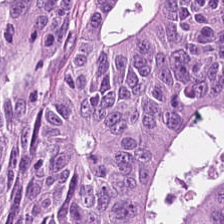Brightfield · H&E stain · 224×224 pixel tile. Tissue class — malignant epithelium.
